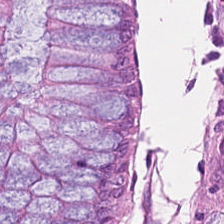Brightfield; H&E stain. Predominantly non-neoplastic colon mucosa.
